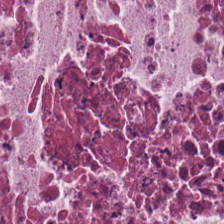Formalin-fixed paraffin-embedded section. H&E-stained tissue section — Debris.
